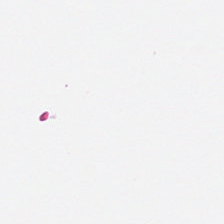No tissue present; background only.
